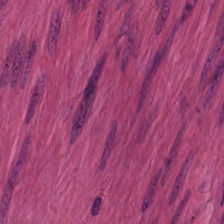H&E-stained tissue section — The classification is muscularis.
